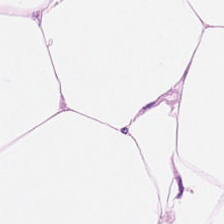FFPE · H&E stain.
Finding → adipocytes.
